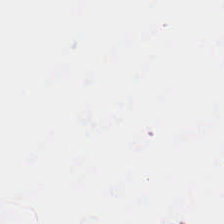H&E-stained tissue section · formalin-fixed paraffin-embedded section — Background — no tissue in this field.
